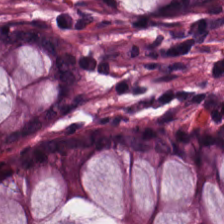This patch shows normal colon mucosa.
